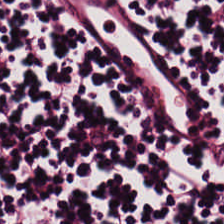H&E stain. FFPE tissue section. Brightfield.
Q: Identify the tissue.
A: It is lymphoid infiltrate.
